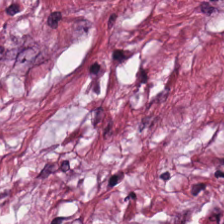H&E-stained tissue section. 0.5 µm per pixel. Histology → tumor stroma.
